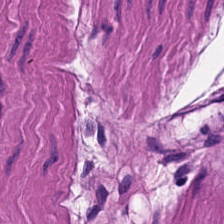{"tissue_type": "muscularis"}
